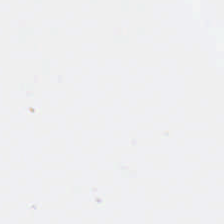H&E stain · formalin-fixed paraffin-embedded section — Empty background.
